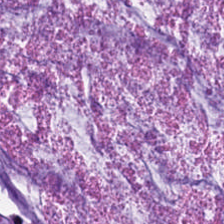FFPE tissue section; H&E stain; 224×224 pixel tile.
Tissue — mucin.
